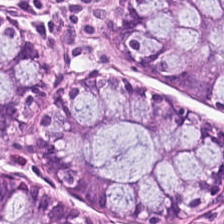H&E-stained section; the field shows non-neoplastic colon mucosa.
